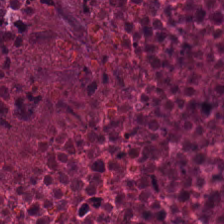Hematoxylin-and-eosin stained section. Whole-slide-image patch.
Impression — debris.
